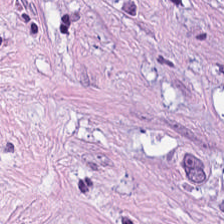Hematoxylin and eosin. Formalin-fixed paraffin-embedded section — Tissue type = tumor stroma.
